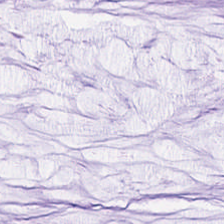Hematoxylin and eosin; WSI patch — Predominantly mucin.
